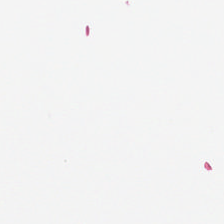H&E. 224×224 pixel tile. FFPE — Background — no tissue in this field.
